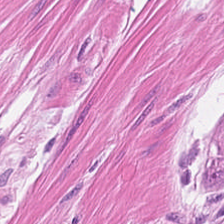WSI patch · H&E stain.
The classification is muscularis.
